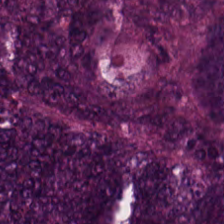0.5 microns per pixel; WSI patch; hematoxylin and eosin. Predominant tissue: colorectal adenocarcinoma.
